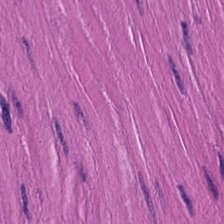H&E — Finding — smooth-muscle tissue.
